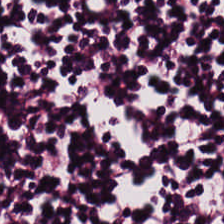Hematoxylin and eosin; WSI patch. Tissue type: lymphoid infiltrate.
